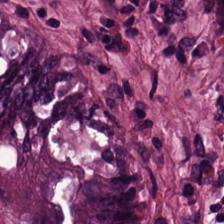H&E stain — Q: Identify the tissue.
A: Tumor epithelium.
